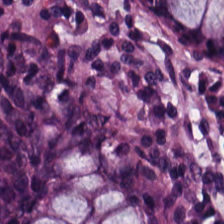H&E-stained tissue section — Finding → normal colonic mucosa.
